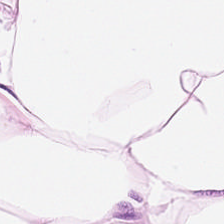Stain: hematoxylin and eosin.
Tissue type: fat tissue.
